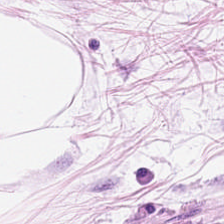Tissue class = adipose.
